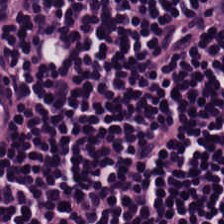H&E stain — Q: What type of tissue is this?
A: This is lymphocytes.
